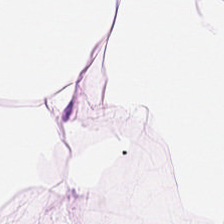H&E-stained section; the field shows fat tissue.
